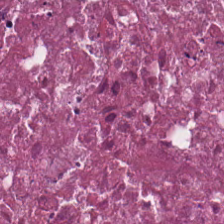0.5 µm per pixel. Hematoxylin-and-eosin stained section. 224×224 px tile. Classification — cellular debris.
